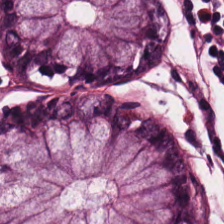Hematoxylin and eosin. 224×224 px tile — {"tissue_type": "non-neoplastic colon mucosa"}
